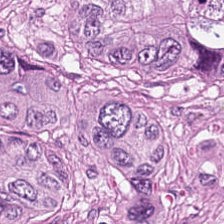Brightfield microscopy · H&E-stained tissue section · 224×224 px patch. Malignant epithelium.
